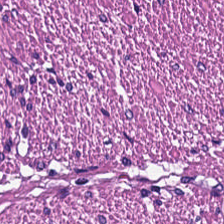H&E; FFPE; 224×224 px tile. Tissue class = smooth muscle.
